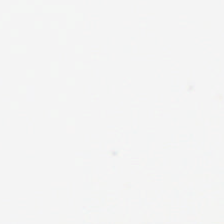Hematoxylin-and-eosin stained section — Q: Classify this patch.
A: The field shows background (no tissue).
